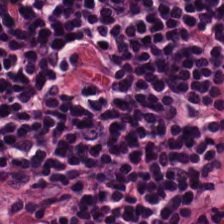H&E.
Q: What type of tissue is this?
A: It is lymphoid infiltrate.
